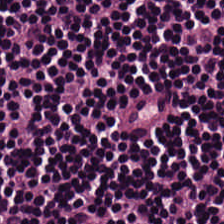H&E-stained tissue section. Tissue class = lymphocytes.
